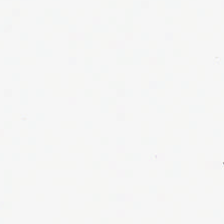H&E. Impression — no tissue.
